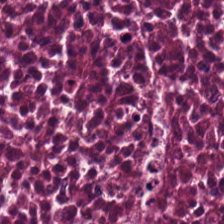Brightfield; H&E-stained tissue section.
Histology — necrotic debris.
